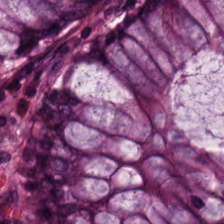H&E-stained tissue section. 20× equivalent magnification. Q: What does this patch show?
A: It is normal colonic mucosa.
